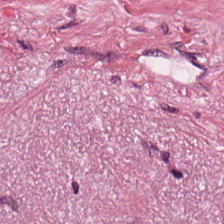H&E stain. Q: What type of tissue is this?
A: This is tumor-associated stroma.
